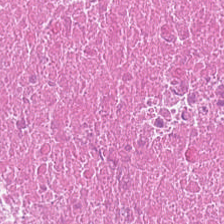Stain: H&E stain.
Acquisition: brightfield.
Tissue: cellular debris.
